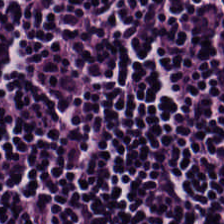Hematoxylin and eosin; 0.5 µm per pixel. The classification is lymphocytes.
